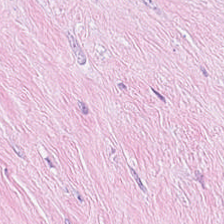Hematoxylin-and-eosin stained section.
The tissue here is tumor stroma.
